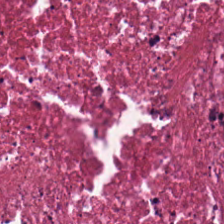Q: Classify this patch.
A: It is necrotic debris.
